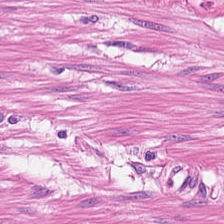H&E-stained tissue section. This patch shows smooth-muscle tissue.
